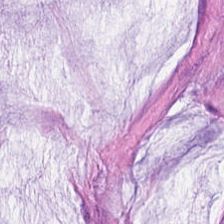Stain: H&E.
Tissue class: mucin.
